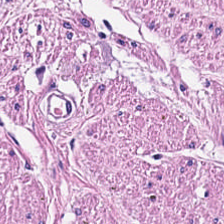Brightfield microscopy · H&E stain. The tissue here is smooth muscle.
